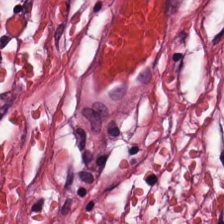H&E; formalin-fixed paraffin-embedded section — This patch shows tumor stroma.
